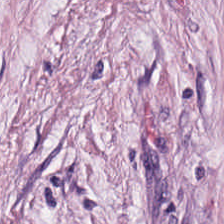Stain: H&E.
Acquisition: whole-slide-image patch.
Tissue: tumor-associated stroma.
